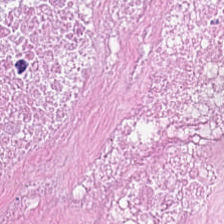Q: What does this patch show?
A: Cellular debris.
